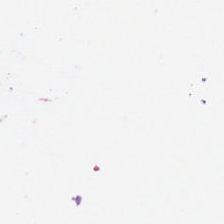Hematoxylin-and-eosin stained section. Classification = empty background.
